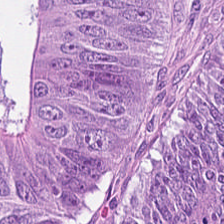H&E stain. The classification is adenocarcinoma.
